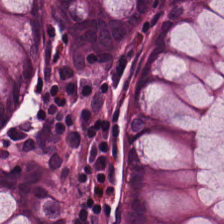Tissue — normal colonic mucosa.
